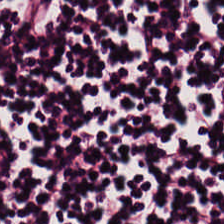{"tissue_type": "lymphocyte aggregate"}
